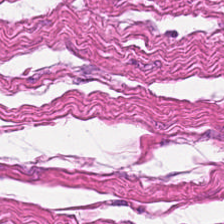20× equivalent magnification; 224×224 px tile; H&E-stained tissue section.
Predominant tissue: muscularis.
